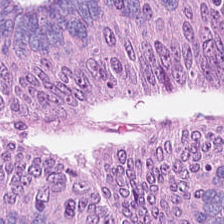H&E-stained tissue section.
Predominant tissue = malignant epithelium.
